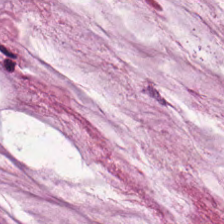Predominantly mucin.
